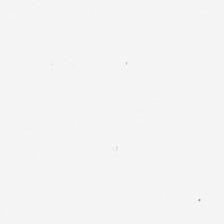Field content: empty background.
